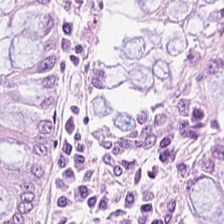H&E-stained tissue section. 0.5 microns per pixel. Predominant tissue = benign colonic mucosa.
